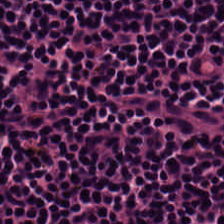0.5 µm per pixel; whole-slide-image patch; hematoxylin-and-eosin stained section.
This patch shows lymphoid infiltrate.
